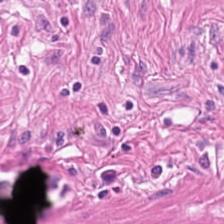Stain: H&E stain.
Tile size: 224×224 px tile.
Preparation: FFPE tissue section.
Classification: smooth-muscle tissue.
